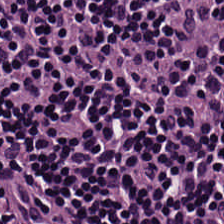H&E.
Q: Identify the tissue.
A: This is lymphocytic infiltrate.
